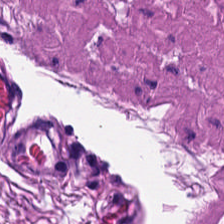Tissue type: smooth-muscle tissue.
